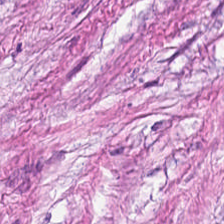H&E stain. {"tissue_type": "tumor-associated stroma"}
